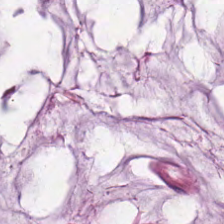Q: Identify the tissue.
A: It is mucus.
